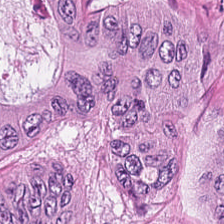Tissue type: colorectal adenocarcinoma epithelium.
